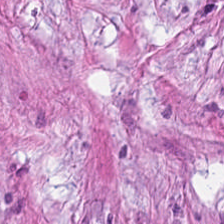H&E-stained tissue section. Finding → cancer-associated stroma.
